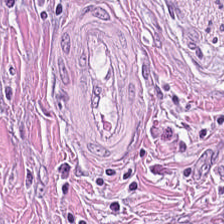H&E stain. Formalin-fixed paraffin-embedded section. 224×224 px tile — This field is cancer-associated stroma.
